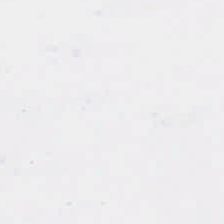This field is background (no tissue).
